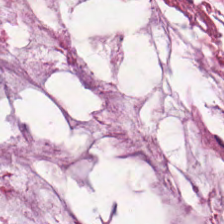Hematoxylin-and-eosin stained section. This patch shows extracellular mucin.
